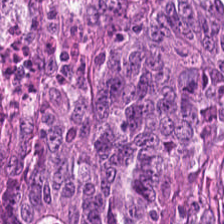224×224 px tile · hematoxylin-and-eosin stained section · brightfield microscopy — Tissue type: adenocarcinoma.
